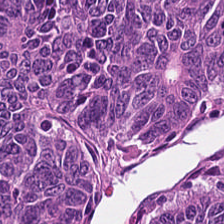This patch shows colorectal adenocarcinoma epithelium.
